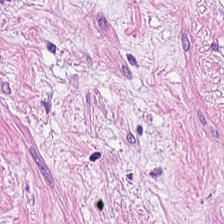Stain: H&E.
Tissue: desmoplastic stroma.
